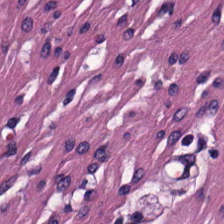Predominantly smooth muscle.
